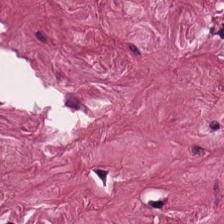Hematoxylin-and-eosin stained section — The tissue here is tumor stroma.
